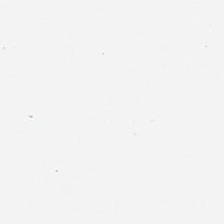Hematoxylin-and-eosin stained section. The content is no tissue.
